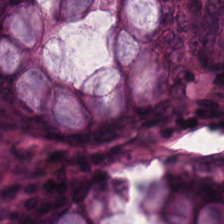H&E stain. 224×224 px tile — Predominantly non-neoplastic colon mucosa.
